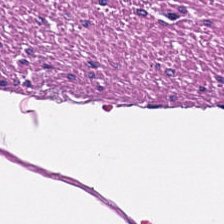Muscularis.
